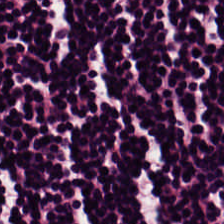0.5 µm per pixel · H&E-stained tissue section. Impression → lymphoid infiltrate.
